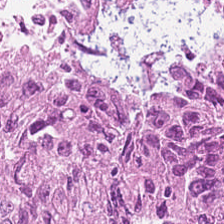H&E stain — Finding → colorectal adenocarcinoma.
